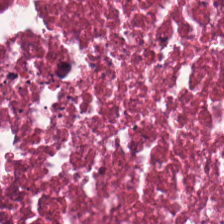Brightfield. H&E.
Showing necrotic debris.
